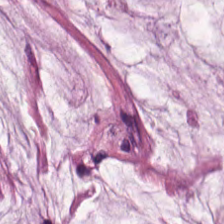Hematoxylin-and-eosin stained section — The tissue here is mucin.
